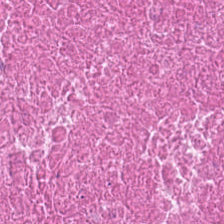Q: What is shown here?
A: The field shows debris.
